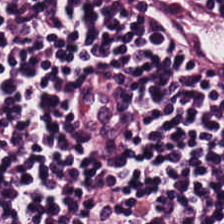Whole-slide-image patch; hematoxylin-and-eosin stained section; FFPE tissue section — This field is lymphocytes.
